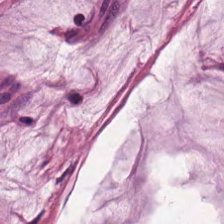H&E stain — Q: Identify the tissue.
A: This is mucus.
